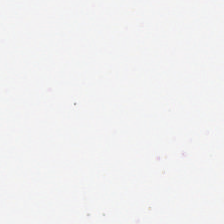Hematoxylin-and-eosin stained section. Field content: no tissue.
